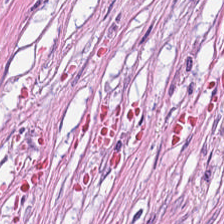H&E-stained tissue section — Tissue: cancer-associated stroma.
